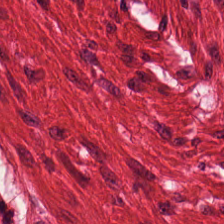Hematoxylin and eosin. Histology — muscularis.
